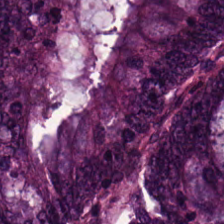H&E stain.
The predominant tissue is colorectal adenocarcinoma epithelium.
